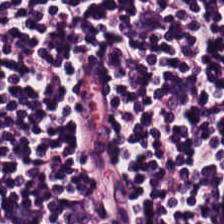This field is lymphocytes.
